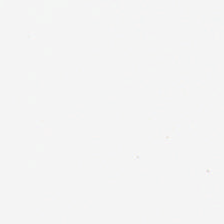Hematoxylin-and-eosin stained section — Empty field — empty background.
